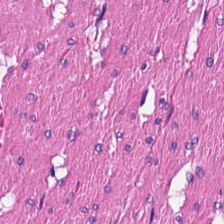H&E — {"tissue_type": "smooth-muscle tissue"}
